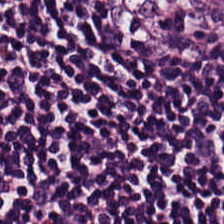Whole-slide-image patch · hematoxylin-and-eosin stained section — Q: Classify this patch.
A: Lymphocyte aggregate.
